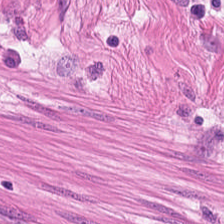Tissue = muscularis.
